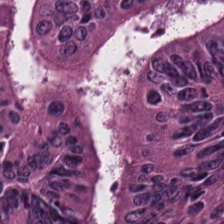H&E-stained tissue section — The tissue class is tumor epithelium.
